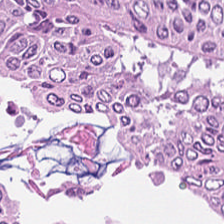Tumor epithelium.
